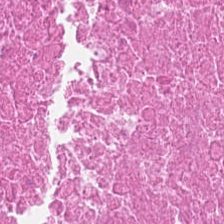H&E-stained tissue section. Showing cellular debris.
